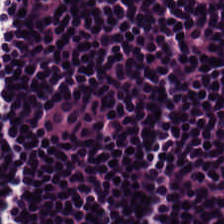Formalin-fixed paraffin-embedded section · H&E-stained tissue section — Q: What tissue type is shown here?
A: The field shows lymphoid infiltrate.
